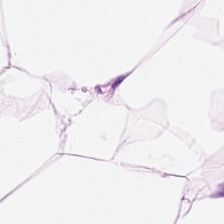Adipocytes.
